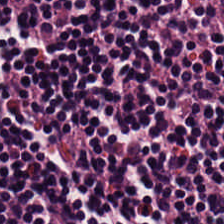Stain: hematoxylin-and-eosin stained section.
Acquisition: whole-slide-image patch.
Tissue class: lymphocytes.
